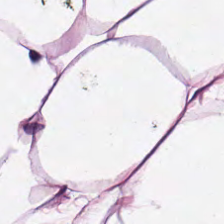Tissue class = adipose.
